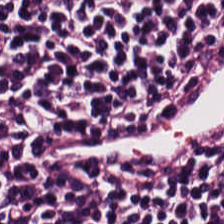224×224 px tile. H&E stain. 0.5 µm/px — {"tissue_type": "lymphocytes"}
